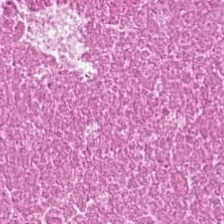The tissue is necrotic debris.
